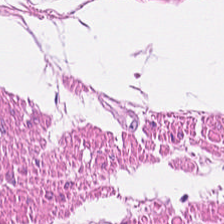Impression → smooth-muscle tissue.
